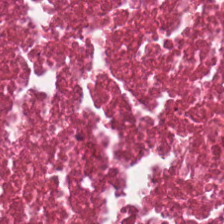FFPE tissue section; 224×224 px tile; H&E-stained tissue section. Q: What is shown in this field?
A: The field shows necrotic debris.
